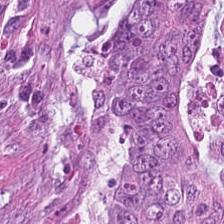H&E. Tissue class: adenocarcinoma.
